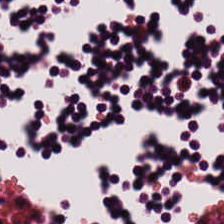Stain: hematoxylin and eosin.
Tile size: 224×224 px tile.
Resolution: 0.5 µm per pixel.
Tissue class: lymphoid infiltrate.
